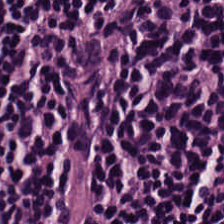Histology — lymphoid infiltrate.
